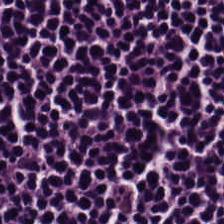H&E stain.
Q: What is shown in this field?
A: Lymphoid infiltrate.
